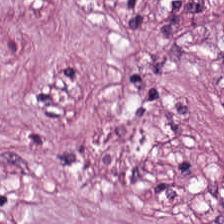0.5 µm per pixel; hematoxylin-and-eosin stained section. Q: What is shown in this field?
A: Desmoplastic stroma.
